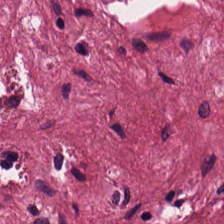224×224 px tile; H&E; brightfield — Histology — tumor stroma.
